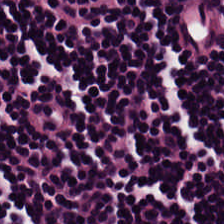Classification: lymphocytes.
